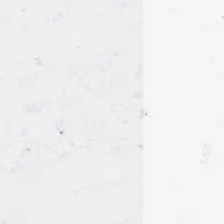224×224 pixel tile. 20× equivalent magnification. H&E-stained tissue section — Content: background (no tissue).
